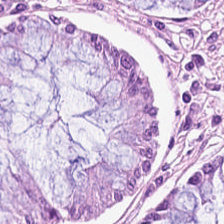Normal colon mucosa.
